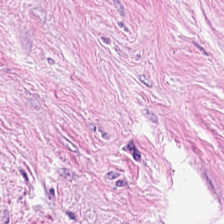H&E stain. Whole-slide-image patch — This field is tumor stroma.
